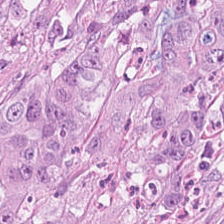H&E-stained tissue section. 224×224 pixel tile — Tissue: malignant epithelium.
